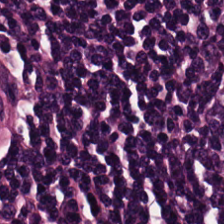Brightfield · hematoxylin and eosin — Tissue — lymphocytes.
